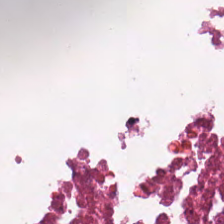The predominant tissue is necrotic debris.
